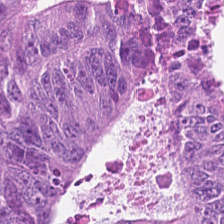Hematoxylin and eosin — {"tissue_type": "colorectal adenocarcinoma"}
